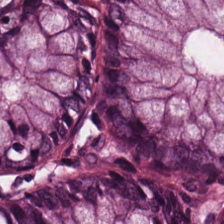Finding — normal colon mucosa.
